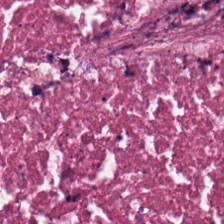Stain: H&E-stained tissue section.
Preparation: FFPE.
Classification: debris.
